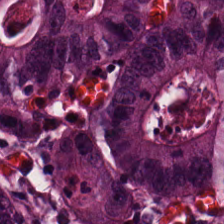Hematoxylin-and-eosin stained section. Colorectal adenocarcinoma.
